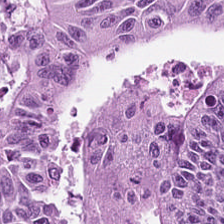Hematoxylin-and-eosin stained section · whole-slide-image patch.
{"tissue_type": "tumor epithelium"}
